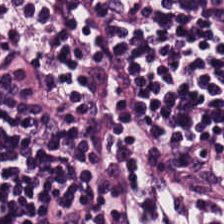H&E. Q: What is shown here?
A: This is lymphoid infiltrate.
